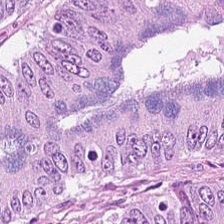Tissue type: adenocarcinoma.
